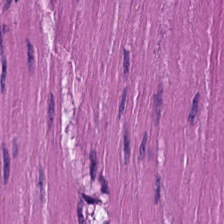Hematoxylin and eosin.
Predominant tissue: smooth muscle.
